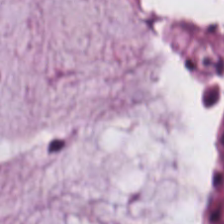0.5 µm per pixel. FFPE. Hematoxylin-and-eosin stained section.
Tissue class — mucus.
